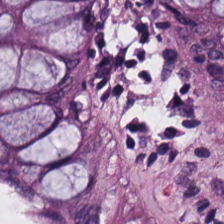H&E-stained tissue section. This field is normal colon mucosa.
